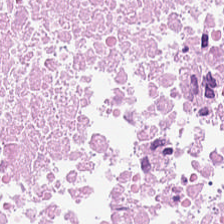The classification is debris.
